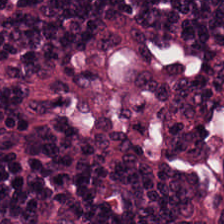H&E · whole-slide-image patch — This patch shows lymphocytic infiltrate.
